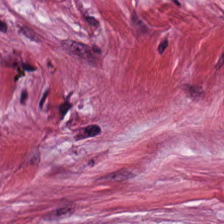H&E-stained tissue section — The tissue here is desmoplastic stroma.
